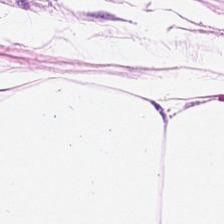Stain: H&E stain.
Tile size: 224×224 px patch.
Preparation: FFPE tissue section.
Tissue type: adipose.
